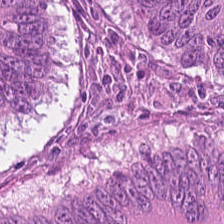Hematoxylin-and-eosin stained section.
The tissue class is colorectal adenocarcinoma epithelium.
